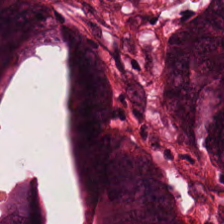Hematoxylin-and-eosin stained section.
Tissue class — malignant epithelium.
